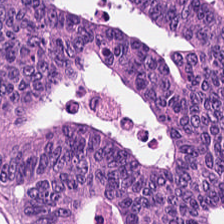This field is tumor epithelium.
